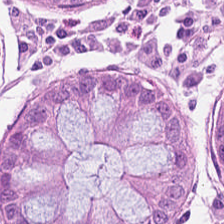H&E — Q: Identify the tissue.
A: This is normal colonic mucosa.
